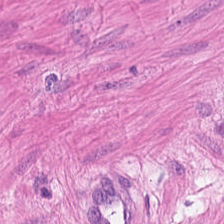H&E. Brightfield.
Predominantly muscularis.
